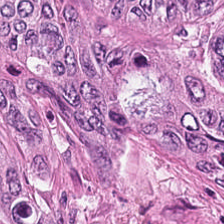H&E.
Impression → colorectal adenocarcinoma.
